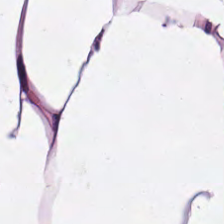Hematoxylin and eosin — Showing fat tissue.
